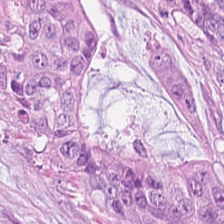H&E stain. The classification is colorectal adenocarcinoma epithelium.
